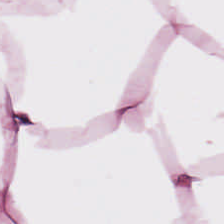Hematoxylin-and-eosin stained section. Q: What type of tissue is this?
A: This is adipose.
